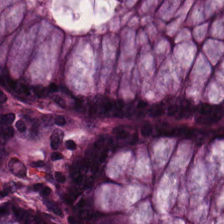Hematoxylin and eosin.
Non-neoplastic colon mucosa.
